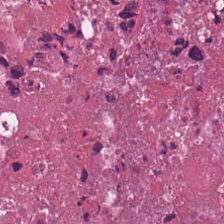H&E stain. This field is cellular debris.
